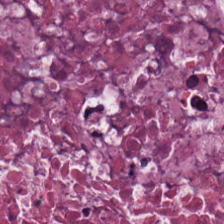Hematoxylin and eosin.
Finding — debris.
